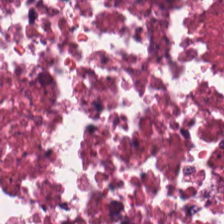H&E stain; FFPE. Q: Classify this patch.
A: This is debris.
